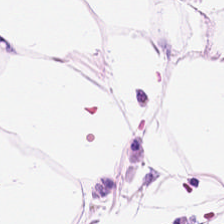Hematoxylin and eosin · 224×224 pixel tile · formalin-fixed paraffin-embedded section — The tissue here is adipocytes.
